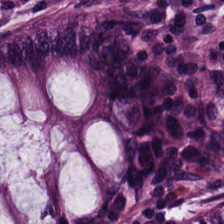H&E — Histology → non-neoplastic colon mucosa.
